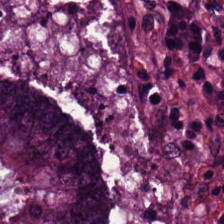FFPE · H&E — Tissue: adenocarcinoma.
